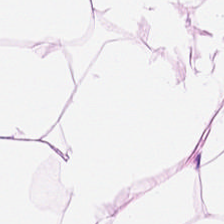{"tissue_type": "adipose"}
